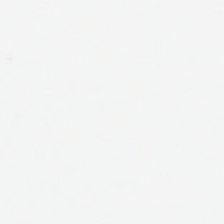Field content — no tissue.
